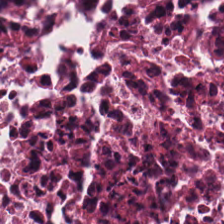Hematoxylin and eosin. FFPE tissue section.
Impression → cellular debris.
